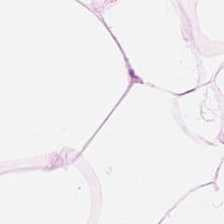H&E-stained tissue section — Impression → adipose tissue.
